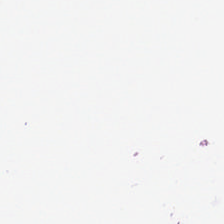FFPE; H&E — This patch shows no tissue.
